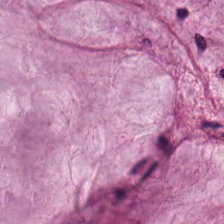Brightfield; H&E stain. The predominant tissue is mucin.
